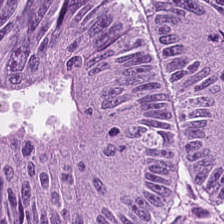Stain: hematoxylin-and-eosin stained section.
Tissue: malignant epithelium.
